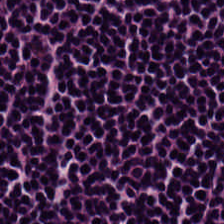Stain: H&E stain.
Acquisition: brightfield.
Predominant tissue: lymphoid infiltrate.
